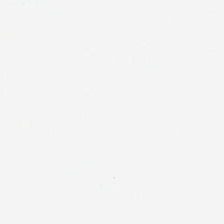H&E-stained tissue section — Content = no tissue.
